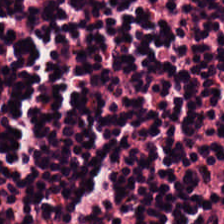Hematoxylin-and-eosin stained section. Formalin-fixed paraffin-embedded section.
Predominant tissue: lymphocyte aggregate.
